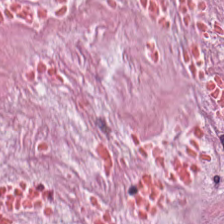Hematoxylin-and-eosin stained section. {"tissue_type": "tumor stroma"}
